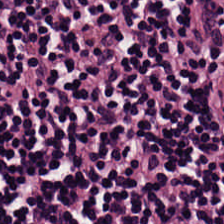Stain: H&E stain.
Tissue: lymphocytic infiltrate.
